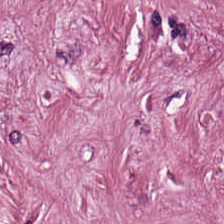Hematoxylin-and-eosin stained section. Formalin-fixed paraffin-embedded section — Histology → cancer-associated stroma.
